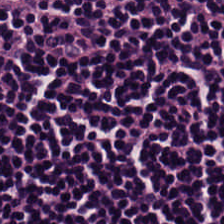H&E-stained tissue section · 0.5 µm per pixel · formalin-fixed paraffin-embedded section.
Tissue type — lymphocytic infiltrate.
